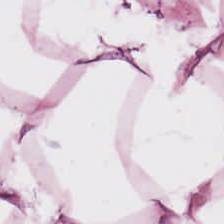H&E-stained tissue section. Q: What does this patch show?
A: Adipose tissue.
